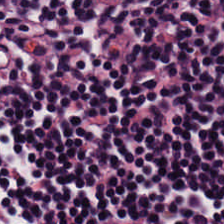{"tissue_type": "lymphoid infiltrate"}
